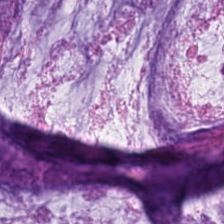0.5 µm per pixel · 224×224 px patch · H&E stain — Mucus.
